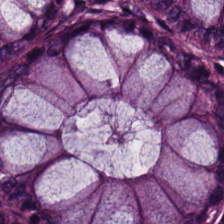224×224 px patch · hematoxylin-and-eosin stained section — Tissue type — normal colonic mucosa.
